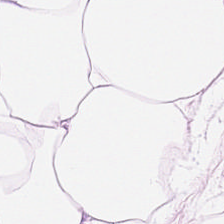0.5 µm/px · hematoxylin-and-eosin stained section · 224×224 px tile.
Showing adipose tissue.
